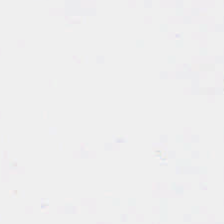H&E — Finding — no tissue.
